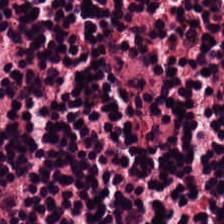H&E.
The classification is lymphocytes.
